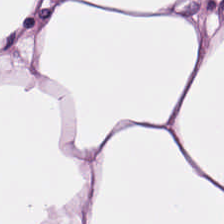Impression — adipocytes.
